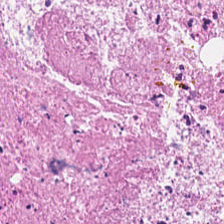H&E.
Showing debris.
